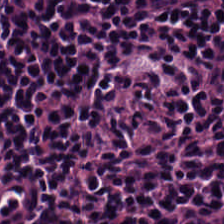H&E patch showing lymphocyte aggregate.
